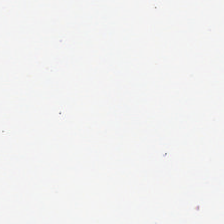H&E — Content: no tissue.
